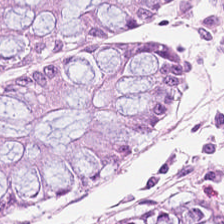H&E-stained tissue section. The predominant tissue is normal colon mucosa.
